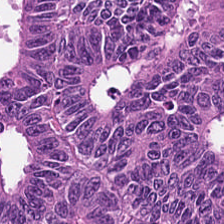Tissue type = tumor epithelium.
